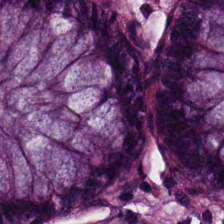H&E-stained tissue section; FFPE tissue section. Impression → benign colonic mucosa.
